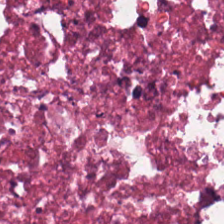224×224 px tile · H&E-stained tissue section. The tissue here is cellular debris.
